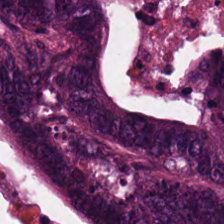FFPE tissue section · whole-slide-image patch · hematoxylin and eosin. Tissue: malignant epithelium.
